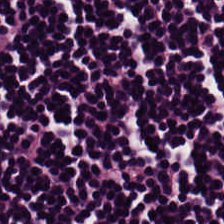224×224 pixel tile; hematoxylin and eosin.
Tissue: lymphocyte aggregate.
